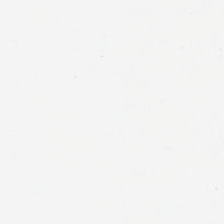WSI patch. 0.5 microns per pixel. H&E stain. Histology → empty background.
